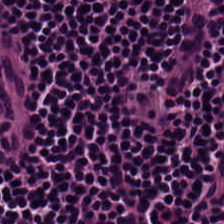Hematoxylin-and-eosin stained section — This patch shows lymphocyte aggregate.
